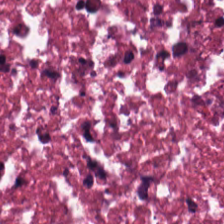{"tissue_type": "necrotic debris"}
